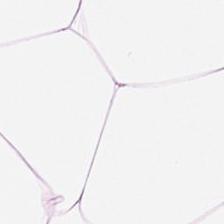Hematoxylin-and-eosin stained section.
Predominant tissue — fat tissue.
